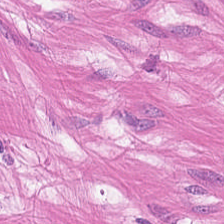20× equivalent magnification; FFPE tissue section; hematoxylin-and-eosin stained section.
Q: What tissue is shown?
A: The field shows smooth muscle.
